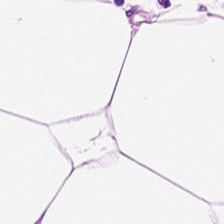Hematoxylin and eosin · 0.5 µm per pixel.
Adipose tissue.
